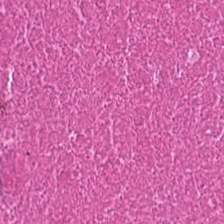Q: What tissue is shown?
A: The field shows necrotic debris.
